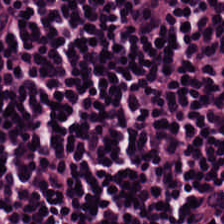Hematoxylin-and-eosin stained section; brightfield.
Tissue type: lymphoid infiltrate.
